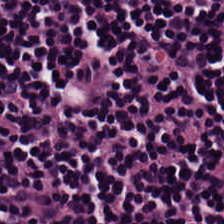Finding → lymphoid infiltrate.
